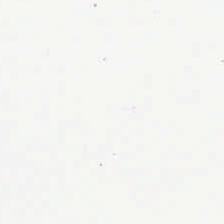Hematoxylin-and-eosin stained section.
Classification = empty background.
